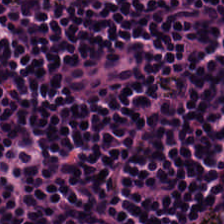Stain: hematoxylin and eosin.
Tile size: 224×224 px tile.
Resolution: 0.5 microns per pixel.
Tissue: lymphocytes.
